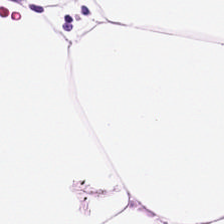Hematoxylin-and-eosin stained section · FFPE — Tissue class = adipocytes.
